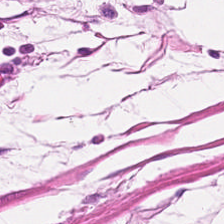Stain: hematoxylin-and-eosin stained section.
Classification: muscularis.
